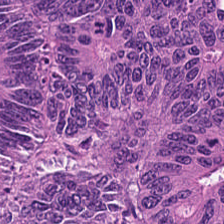Hematoxylin and eosin — This patch shows malignant epithelium.
